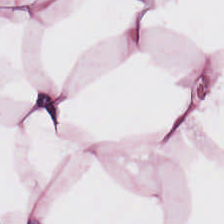Stain: H&E-stained tissue section.
Acquisition: brightfield microscopy.
Preparation: FFPE tissue section.
Tissue: adipose tissue.
